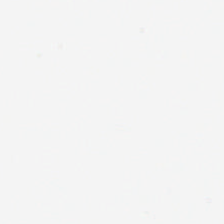H&E stain. The classification is no tissue.
